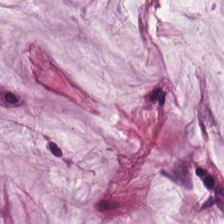Brightfield microscopy; H&E-stained tissue section; formalin-fixed paraffin-embedded section. The classification is mucin.
